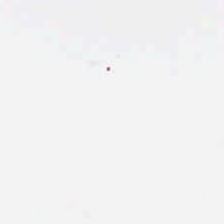H&E stain. Impression — background (no tissue).
